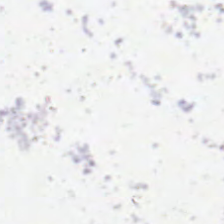Brightfield; hematoxylin and eosin.
Field content — no tissue.
